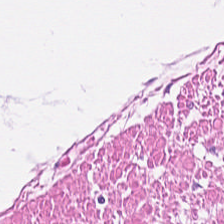H&E-stained section; the field shows muscularis.
